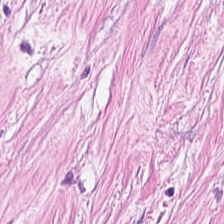224×224 px patch · H&E stain — The tissue here is tumor stroma.
